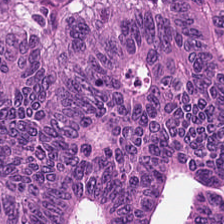20× equivalent magnification · H&E. Q: What is the predominant tissue type?
A: This is tumor epithelium.
